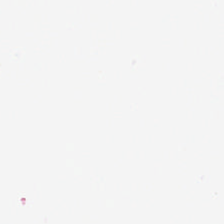H&E-stained tissue section.
No tissue present; background only.
